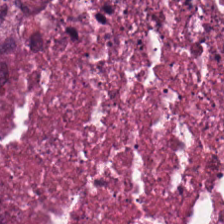H&E-stained tissue section.
{"tissue_type": "cellular debris"}
